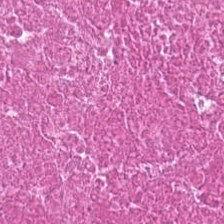The tissue type is cellular debris.
